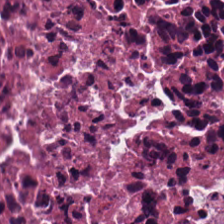Stain: hematoxylin and eosin.
Tissue type: cellular debris.
